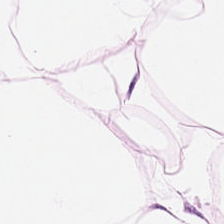This patch shows adipose.
